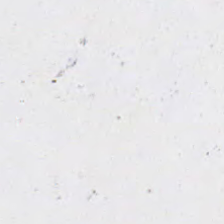{"content": "empty background"}
